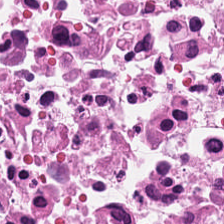This field is necrotic debris.
